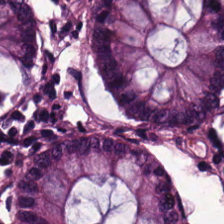Whole-slide-image patch; H&E.
The tissue class is normal colon mucosa.
